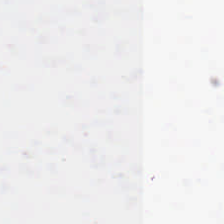Stain: H&E.
Field content: background (no tissue).
